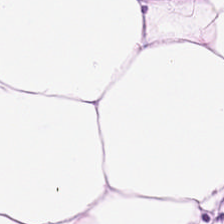Q: What does this patch show?
A: It is adipocytes.
